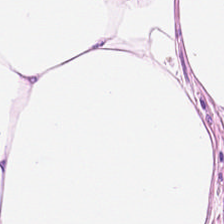H&E-stained tissue section. Q: What tissue is shown?
A: The field shows adipose.
